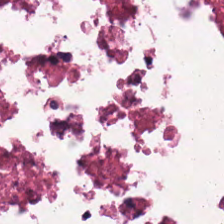H&E — The tissue class is necrotic debris.
